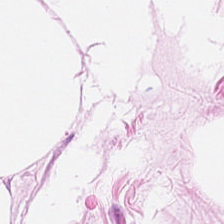Stain: hematoxylin-and-eosin stained section.
Preparation: FFPE tissue section.
Tile size: 224×224 px tile.
Tissue class: adipocytes.
